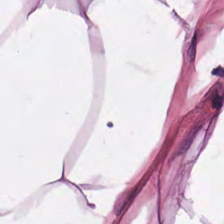Whole-slide-image patch · H&E-stained tissue section — {"tissue_type": "adipocytes"}
